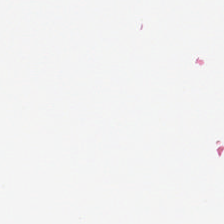224×224 pixel tile · hematoxylin and eosin · FFPE tissue section — No tissue present; background only.
